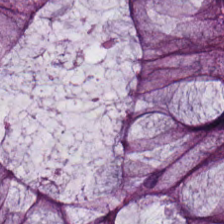Hematoxylin and eosin — Finding — non-neoplastic colon mucosa.
